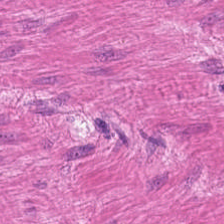H&E-stained tissue section. The predominant tissue is muscularis.
